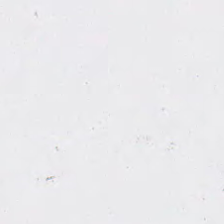Stain: H&E stain.
Acquisition: whole-slide-image patch.
Tile size: 224×224 pixel tile.
Field content: background.
